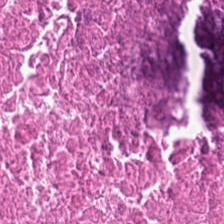H&E stain.
Predominantly cellular debris.
